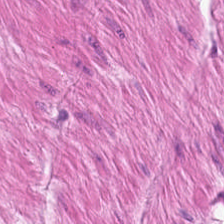Q: What is shown in this field?
A: The field shows muscularis.
